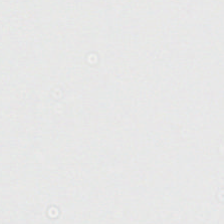Content = background.
